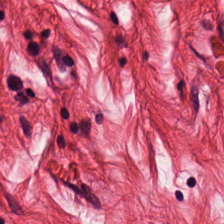The tissue is muscularis.
